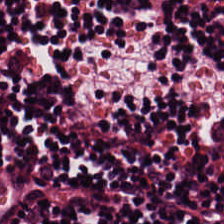H&E-stained section; the field shows lymphocyte aggregate.
